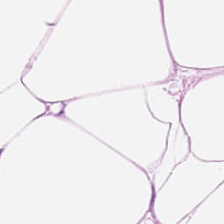Stain: H&E stain.
Tile size: 224×224 px patch.
Classification: adipose tissue.
